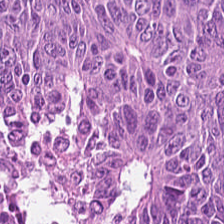H&E stain. 20× equivalent magnification — The tissue here is malignant epithelium.
